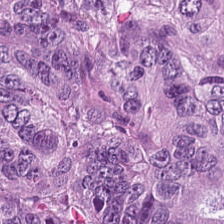Hematoxylin-and-eosin stained section. Formalin-fixed paraffin-embedded section.
Finding — tumor epithelium.
